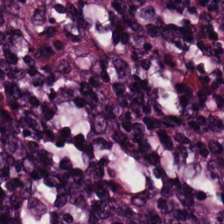H&E — Tissue type — lymphocyte aggregate.
